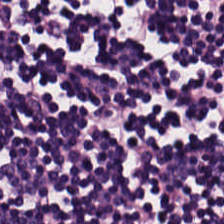FFPE tissue section · hematoxylin and eosin — Predominantly lymphoid infiltrate.
